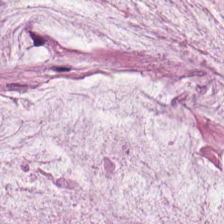224×224 px patch; H&E.
Showing extracellular mucin.
